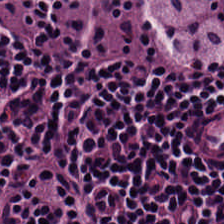Hematoxylin-and-eosin stained section — {"tissue_type": "lymphoid infiltrate"}
